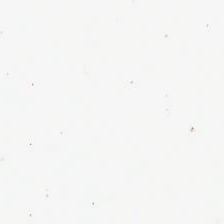H&E — Histology — background (no tissue).
